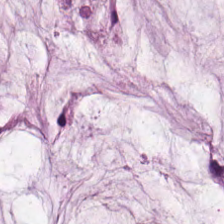H&E stain · 20× equivalent magnification. Showing mucus.
